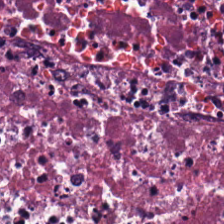Stain: H&E stain.
Acquisition: whole-slide-image patch.
Tissue: necrotic debris.
